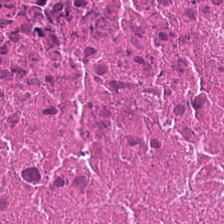H&E stain. Q: What is shown in this field?
A: It is necrotic debris.
